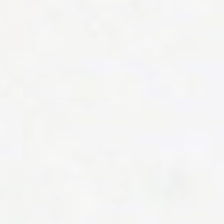H&E stain; 0.5 µm/px; whole-slide-image patch.
Q: What is shown in this field?
A: It is empty background.
